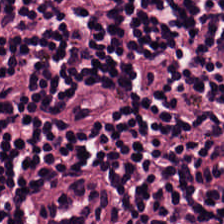Predominant tissue: lymphocytic infiltrate.
